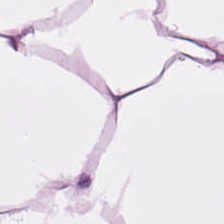Hematoxylin and eosin — {"tissue_type": "adipose tissue"}
